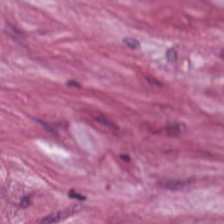H&E stain.
Finding → tumor stroma.
